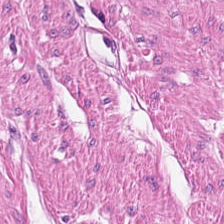Brightfield; H&E. Tissue type = muscularis.
